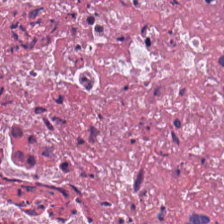Hematoxylin-and-eosin stained section.
Q: What is shown in this field?
A: The field shows cellular debris.
